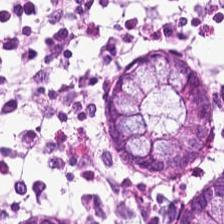224×224 pixel tile. H&E.
Predominantly benign colonic mucosa.
